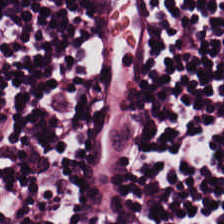Q: What tissue type is shown here?
A: The field shows lymphoid infiltrate.
